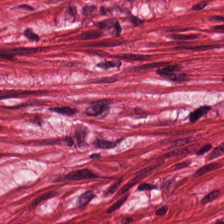224×224 pixel tile · hematoxylin-and-eosin stained section — The tissue class is smooth-muscle tissue.
